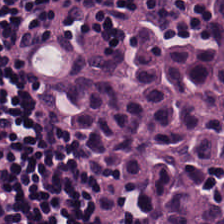Stain: hematoxylin and eosin.
Predominant tissue: lymphocytes.
